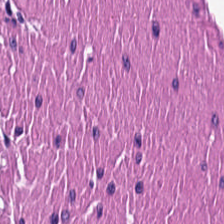The predominant tissue is smooth muscle.
